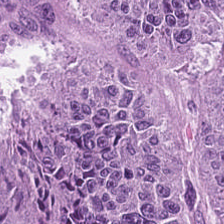224×224 px patch · hematoxylin and eosin — Predominantly malignant epithelium.
